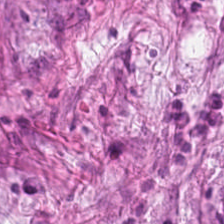224×224 px tile · H&E stain — Tissue — tumor-associated stroma.
